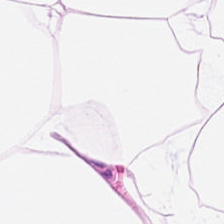224×224 pixel tile; hematoxylin and eosin. {"tissue_type": "adipose"}
